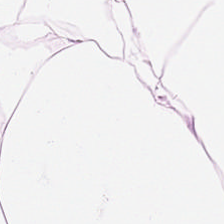224×224 px patch · H&E stain.
Q: What is shown here?
A: The field shows adipocytes.
